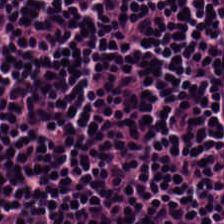224×224 px tile · formalin-fixed paraffin-embedded section · H&E stain — {"tissue_type": "lymphocyte aggregate"}
